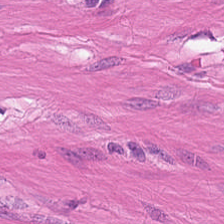H&E stain.
{"tissue_type": "muscularis"}
